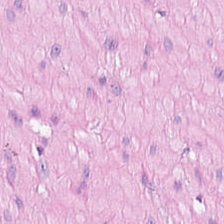H&E. Smooth-muscle tissue.
